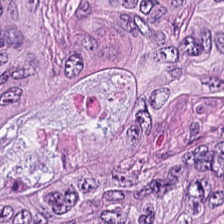Hematoxylin and eosin. Brightfield microscopy — Predominantly malignant epithelium.
